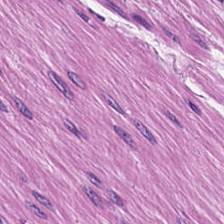Stain: H&E-stained tissue section.
Classification: smooth-muscle tissue.
